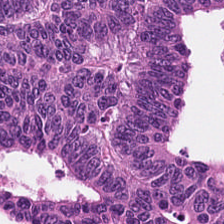H&E-stained tissue section.
Tissue type — malignant epithelium.
